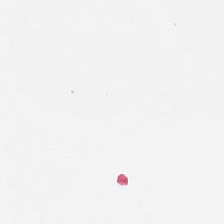H&E stain; 224×224 pixel tile — Q: What is shown here?
A: The field shows empty background.
